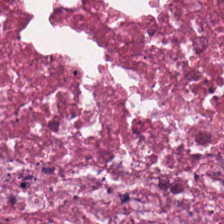Histology — necrotic debris.
